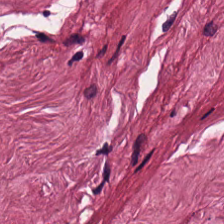Stain: hematoxylin-and-eosin stained section.
Tile size: 224×224 pixel tile.
Predominant tissue: tumor-associated stroma.
